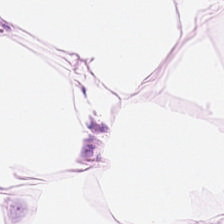H&E stain. FFPE. Finding → adipose tissue.
